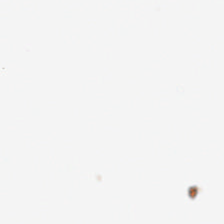H&E stain. Field content = background.
